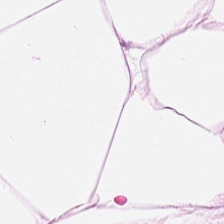H&E stain; formalin-fixed paraffin-embedded section; 224×224 px patch.
This field is fat tissue.
